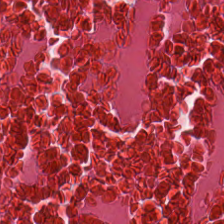Whole-slide-image patch; hematoxylin and eosin.
Predominantly necrotic debris.
